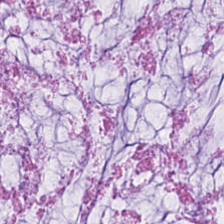Stain: H&E.
Tissue: mucin.
